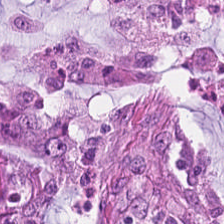H&E — Q: What is shown in this field?
A: It is tumor epithelium.
